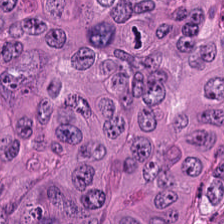H&E-stained tissue section.
Predominant tissue = tumor epithelium.
